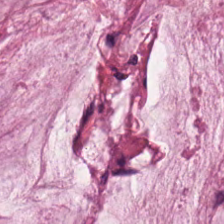H&E stain.
Tissue type = extracellular mucin.
